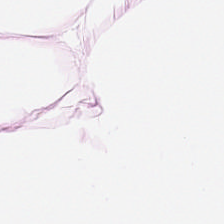Stain: hematoxylin and eosin.
Preparation: FFPE.
Classification: adipocytes.
